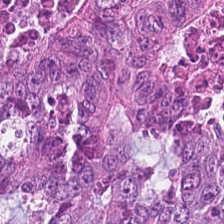H&E stain. This field is adenocarcinoma.
